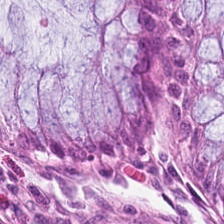H&E. Brightfield microscopy — Tissue type — benign colonic mucosa.
